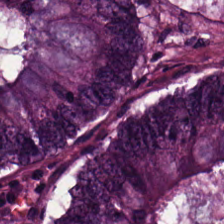Hematoxylin and eosin. Showing tumor epithelium.
